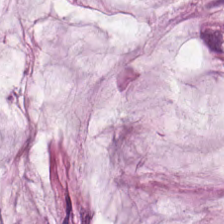Hematoxylin and eosin. FFPE tissue section — Tissue: mucus.
